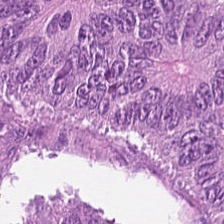Hematoxylin-and-eosin stained section. 224×224 px tile. 0.5 µm/px.
Predominantly adenocarcinoma.
